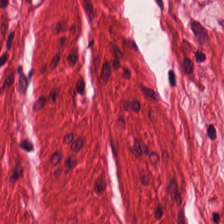H&E. Finding → smooth muscle.
